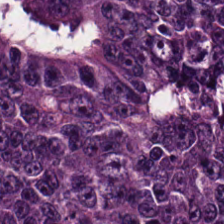H&E stain.
This field is colorectal adenocarcinoma epithelium.
